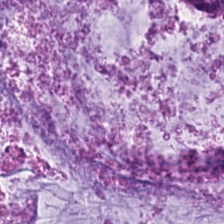Hematoxylin and eosin; brightfield; 224×224 px patch — Q: What tissue is shown?
A: It is mucin.
